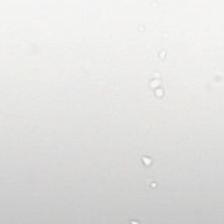Hematoxylin and eosin. Q: Classify this patch.
A: It is no tissue.
